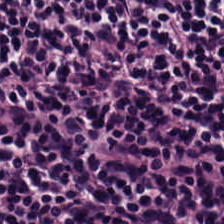Tissue type: lymphoid infiltrate.
